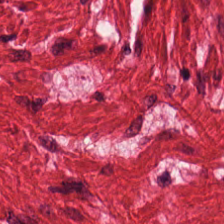Brightfield microscopy. 224×224 px patch. H&E — Tissue — muscularis.
